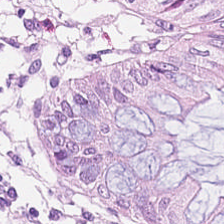H&E stain. This field is benign colonic mucosa.
